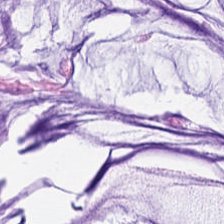H&E stain. Q: What is the predominant tissue type?
A: It is mucin.
